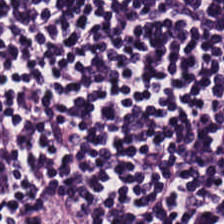Formalin-fixed paraffin-embedded section; 0.5 microns per pixel; hematoxylin and eosin. Showing lymphoid infiltrate.
